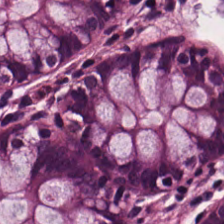H&E-stained tissue section. Q: Classify this patch.
A: Non-neoplastic colon mucosa.
